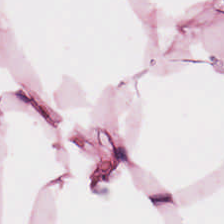H&E stain.
Tissue class — adipose tissue.
